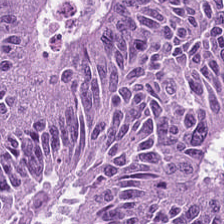Hematoxylin-and-eosin stained section.
The tissue here is colorectal adenocarcinoma.
